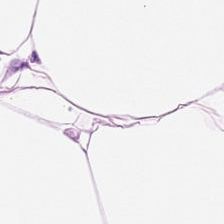H&E stain · brightfield microscopy. Predominant tissue — adipocytes.
